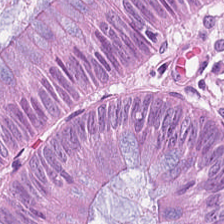H&E; 224×224 pixel tile; 0.5 µm per pixel. Finding — tumor epithelium.
